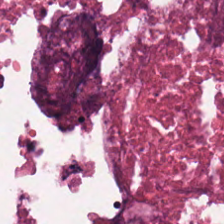This patch shows necrotic debris.
